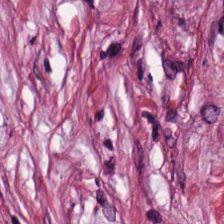FFPE · hematoxylin-and-eosin stained section — The tissue here is desmoplastic stroma.
